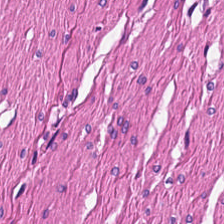Hematoxylin-and-eosin stained section — Q: What does this patch show?
A: This is smooth muscle.
